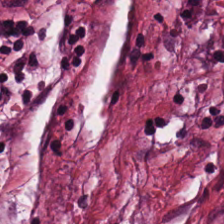Formalin-fixed paraffin-embedded section. 224×224 px patch. H&E stain. Tumor stroma.
